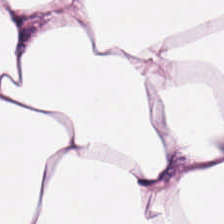H&E stain.
This field is adipose.
